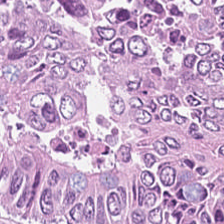20× equivalent magnification; H&E — Histology → colorectal adenocarcinoma epithelium.
